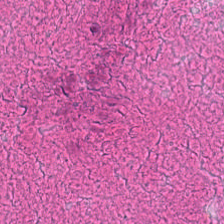Predominant tissue: cellular debris.
